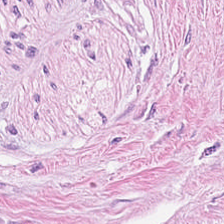Hematoxylin and eosin.
Q: Identify the tissue.
A: The field shows tumor stroma.
